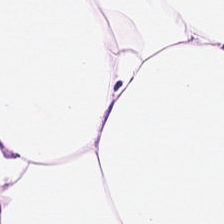Q: What type of tissue is this?
A: It is adipocytes.
